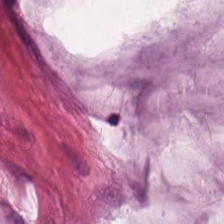Hematoxylin-and-eosin stained section.
The tissue here is mucin.
